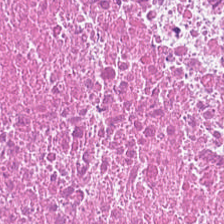H&E.
This patch shows debris.
